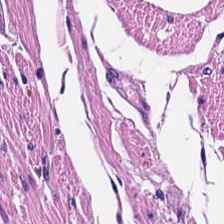{"tissue_type": "smooth muscle"}
